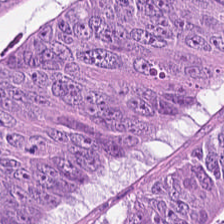H&E-stained tissue section. 224×224 px patch. WSI patch.
Q: What is shown here?
A: It is malignant epithelium.
